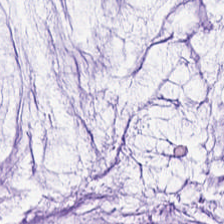Hematoxylin-and-eosin stained section; 0.5 µm per pixel — Q: Identify the tissue.
A: This is mucin.
